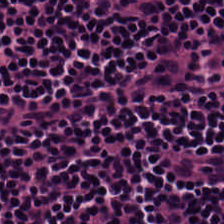Finding → lymphocytic infiltrate.
